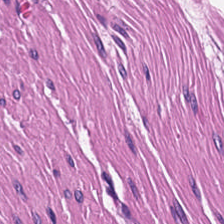Hematoxylin-and-eosin stained section.
Predominantly smooth-muscle tissue.
